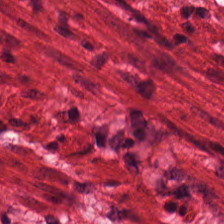H&E stain. 0.5 microns per pixel. Smooth-muscle tissue.
